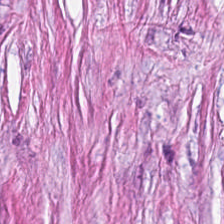H&E.
{"tissue_type": "tumor-associated stroma"}
